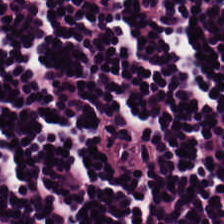WSI patch · 224×224 px patch · H&E — Histology — lymphocyte aggregate.
